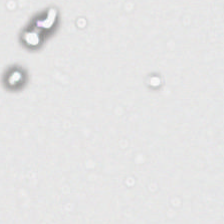No tissue present; background only.
